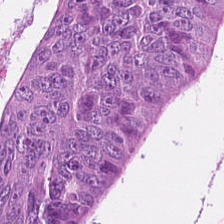H&E stain.
{"tissue_type": "adenocarcinoma"}
